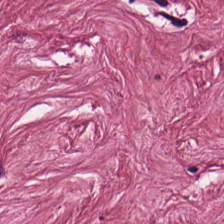H&E-stained tissue section.
Predominantly desmoplastic stroma.
